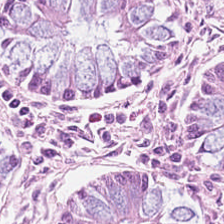Hematoxylin-and-eosin stained section. Finding → normal colonic mucosa.
